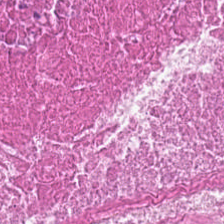Histology → necrotic debris.
